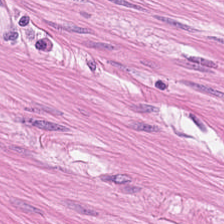0.5 µm/px; hematoxylin-and-eosin stained section. Smooth-muscle tissue.
